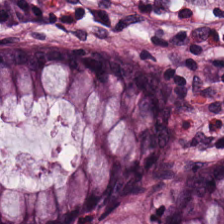20× equivalent magnification; hematoxylin and eosin; FFPE. Predominant tissue = normal colon mucosa.
